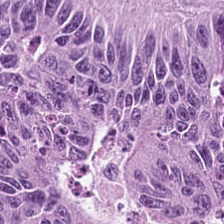H&E; FFPE tissue section.
Q: What tissue is shown?
A: The field shows malignant epithelium.
